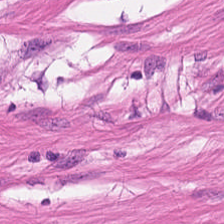Hematoxylin and eosin; whole-slide-image patch; formalin-fixed paraffin-embedded section. Q: What type of tissue is this?
A: The field shows smooth muscle.
